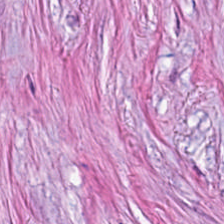H&E. Histology — tumor stroma.
